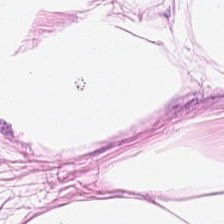Hematoxylin-and-eosin stained section — This patch shows adipose tissue.
